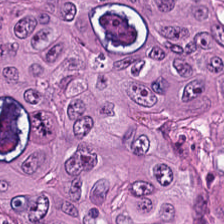H&E stain — Tissue type = colorectal adenocarcinoma epithelium.
